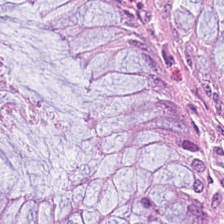Hematoxylin and eosin. The tissue class is normal colonic mucosa.
